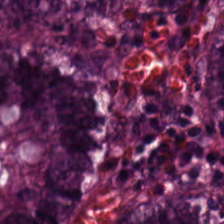Hematoxylin and eosin. {"tissue_type": "normal colon mucosa"}
